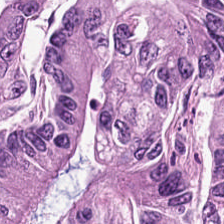Histology — tumor epithelium.
